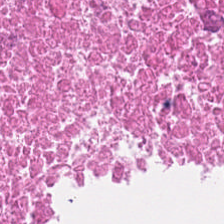H&E-stained tissue section · 224×224 px patch.
Q: What tissue type is shown here?
A: Cellular debris.
